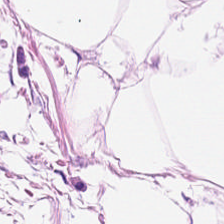Stain: H&E-stained tissue section.
Classification: fat tissue.
